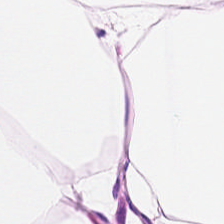H&E; FFPE tissue section — Adipocytes.
